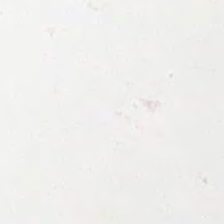Hematoxylin and eosin. This patch shows background (no tissue).
